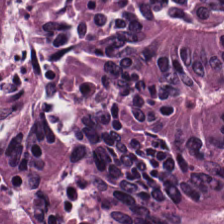20× equivalent magnification; H&E — Q: What tissue type is shown here?
A: Adenocarcinoma.
